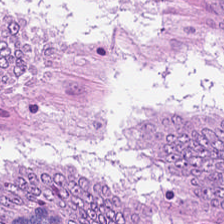Showing malignant epithelium.
